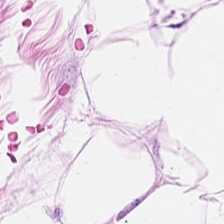Hematoxylin-and-eosin stained section. Showing fat tissue.
